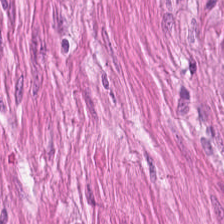H&E stain · FFPE tissue section · 224×224 pixel tile — Predominantly smooth muscle.
